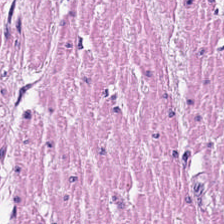H&E stain. 0.5 microns per pixel. Tissue — smooth-muscle tissue.
